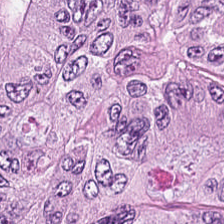20× equivalent magnification. H&E. The tissue here is colorectal adenocarcinoma.
